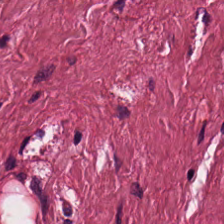H&E-stained tissue section.
The tissue class is tumor-associated stroma.
